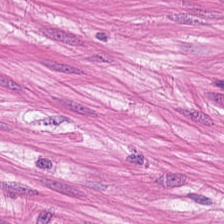Hematoxylin and eosin.
The predominant tissue is muscularis.
